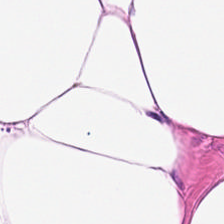H&E stain. Tissue = fat tissue.
